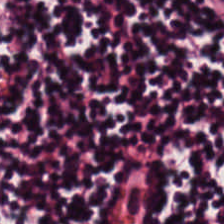20× equivalent magnification; FFPE tissue section; H&E stain.
Predominant tissue: lymphoid infiltrate.
